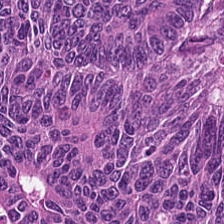0.5 µm per pixel. Whole-slide-image patch. H&E-stained tissue section — Tissue type: malignant epithelium.
